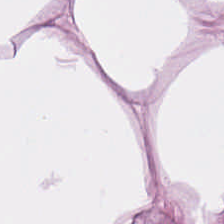H&E stain; 0.5 microns per pixel; WSI patch.
Tissue type = fat tissue.
